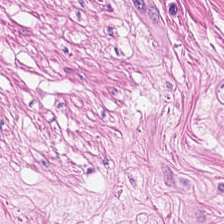H&E-stained tissue section — Muscularis.
